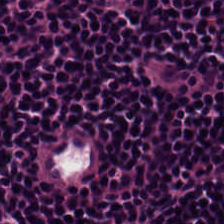H&E. Finding → lymphoid infiltrate.
